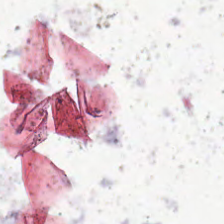Hematoxylin and eosin. Background — no tissue in this field.
